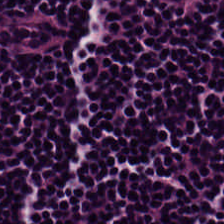0.5 µm/px. H&E-stained tissue section — Q: What type of tissue is this?
A: It is lymphoid infiltrate.
